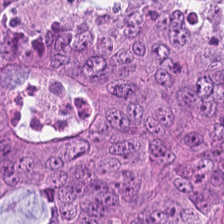224×224 pixel tile. H&E-stained tissue section. Adenocarcinoma.
